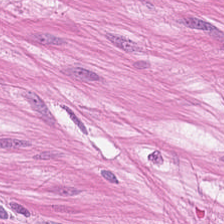Q: Identify the tissue.
A: The field shows muscularis.
